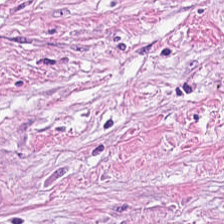Stain: hematoxylin-and-eosin stained section.
Predominant tissue: tumor-associated stroma.
